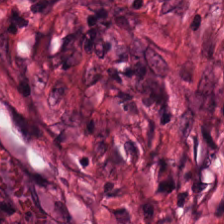Stain: hematoxylin and eosin.
Tissue class: desmoplastic stroma.
